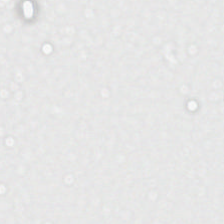H&E stain · whole-slide-image patch. Impression → background.
